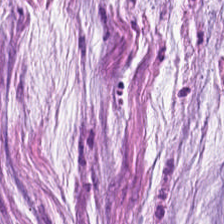H&E stain.
This patch shows mucus.
